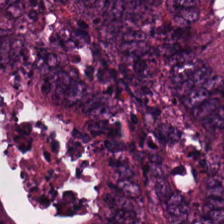FFPE tissue section. 224×224 px tile. Hematoxylin-and-eosin stained section.
Predominant tissue — colorectal adenocarcinoma epithelium.
